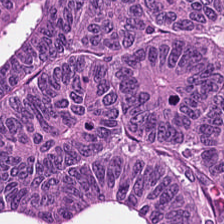H&E-stained tissue section.
Tissue type = colorectal adenocarcinoma epithelium.
